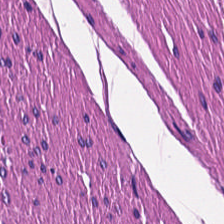Stain: H&E.
Tissue class: muscularis.
